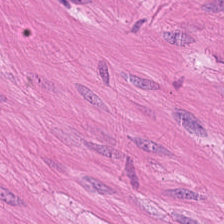FFPE. Hematoxylin-and-eosin stained section. 224×224 pixel tile.
{"tissue_type": "muscularis"}
